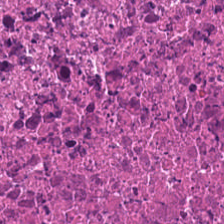H&E stain.
This field is necrotic debris.
